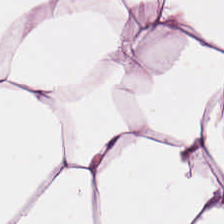FFPE. Brightfield. H&E — Showing adipose tissue.
